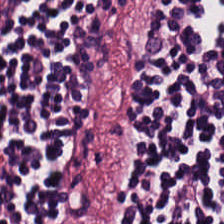H&E-stained tissue section — Q: What tissue is shown?
A: Lymphocytic infiltrate.
